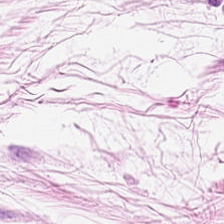FFPE · H&E-stained tissue section.
Q: Identify the tissue.
A: This is adipose.
